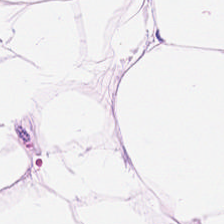H&E.
Adipose.
